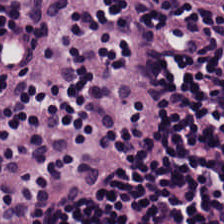Hematoxylin and eosin.
The classification is lymphoid infiltrate.
